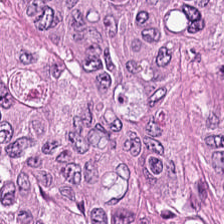H&E.
The tissue here is colorectal adenocarcinoma epithelium.
